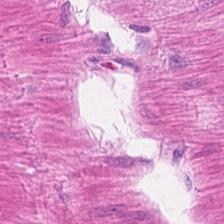H&E — Predominantly muscularis.
